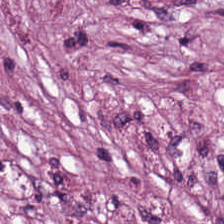H&E stain — This field is tumor-associated stroma.
